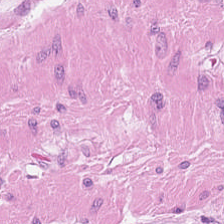Stain: H&E-stained tissue section.
Tissue: smooth muscle.
